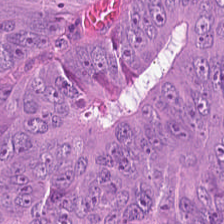0.5 µm per pixel. H&E-stained tissue section. Brightfield.
Tissue class: colorectal adenocarcinoma epithelium.
